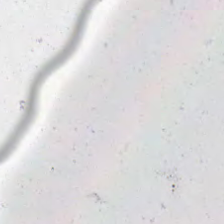Q: Classify this patch.
A: Background.
